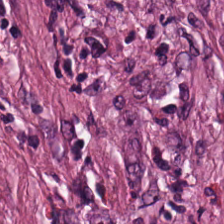H&E stain — Tissue — cancer-associated stroma.
